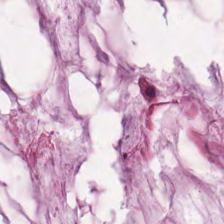H&E-stained tissue section · 20× equivalent magnification · 224×224 px patch — The predominant tissue is mucus.
